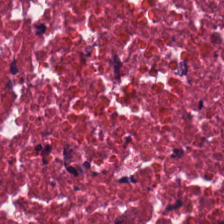0.5 µm per pixel; brightfield; hematoxylin and eosin.
Impression — cellular debris.
